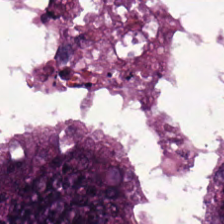Predominant tissue: tumor epithelium.
